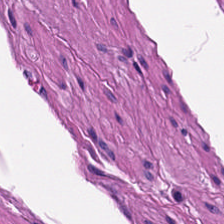H&E stain · brightfield. Showing smooth muscle.
